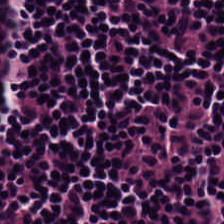Hematoxylin-and-eosin stained section; FFPE tissue section.
The predominant tissue is lymphocytes.
